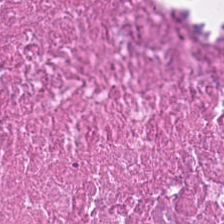0.5 µm per pixel · H&E. The tissue is debris.
